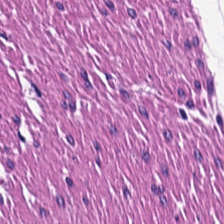H&E-stained tissue section. Impression → smooth muscle.
